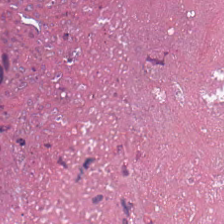Hematoxylin-and-eosin stained section. Brightfield. Necrotic debris.
